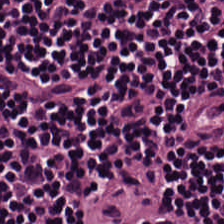H&E-stained tissue section · 224×224 px tile — The predominant tissue is lymphocytic infiltrate.
